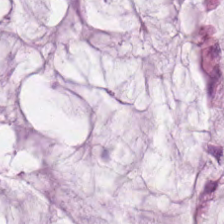H&E-stained tissue section.
Finding → mucus.
